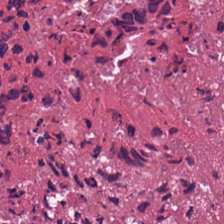Whole-slide-image patch · hematoxylin and eosin.
Q: What does this patch show?
A: It is debris.
